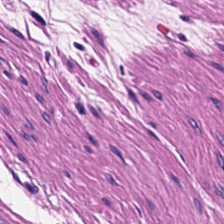20× equivalent magnification. FFPE. Hematoxylin and eosin.
This field is smooth-muscle tissue.
